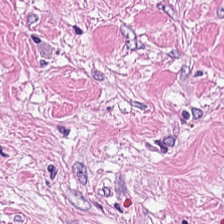Tissue class = cancer-associated stroma.
